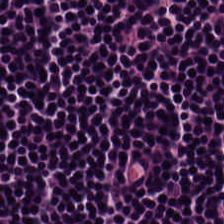Hematoxylin-and-eosin stained section · 0.5 µm per pixel · FFPE. {"tissue_type": "lymphocyte aggregate"}
